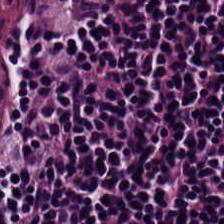224×224 pixel tile · H&E stain. {"tissue_type": "lymphocyte aggregate"}
